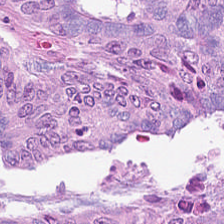H&E-stained tissue section. Colorectal adenocarcinoma.
